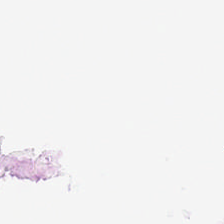Background — no tissue in this field.
